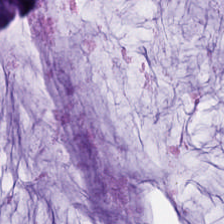FFPE tissue section · 0.5 µm/px · hematoxylin and eosin.
The classification is mucin.
